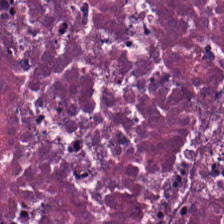H&E-stained tissue section.
Predominantly debris.
